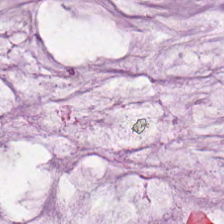Brightfield · hematoxylin-and-eosin stained section.
The predominant tissue is mucin.
